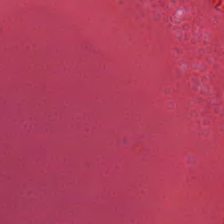Brightfield microscopy; hematoxylin-and-eosin stained section. Tissue type — necrotic debris.
